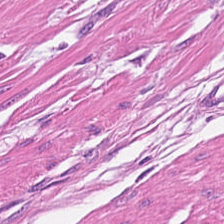H&E stain — Tissue = smooth-muscle tissue.
